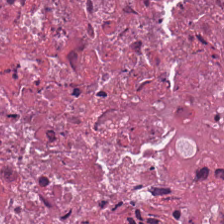FFPE tissue section · hematoxylin-and-eosin stained section.
This patch shows necrotic debris.
